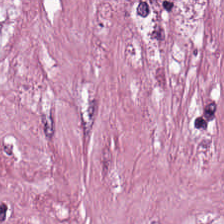H&E-stained tissue section. FFPE — Q: What is the predominant tissue type?
A: It is desmoplastic stroma.
